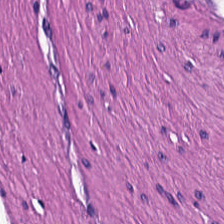Smooth muscle.
